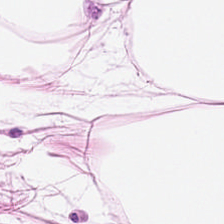H&E stain; brightfield — Predominantly adipose tissue.
